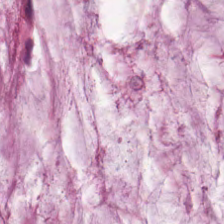H&E — extracellular mucin.
